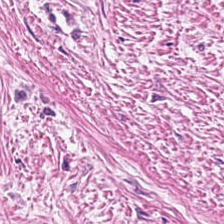FFPE. H&E-stained tissue section — This patch shows tumor stroma.
